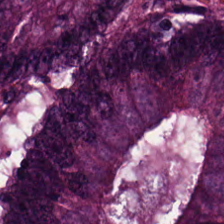The predominant tissue is adenocarcinoma.
